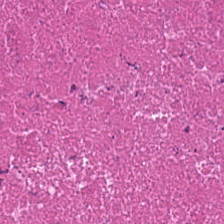H&E. 20× equivalent magnification. FFPE tissue section. The tissue is necrotic debris.
